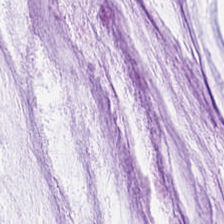Hematoxylin-and-eosin stained section. 224×224 px patch. Brightfield. The predominant tissue is extracellular mucin.
